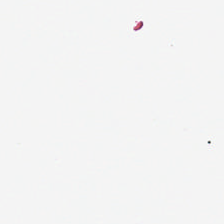Q: Classify this patch.
A: The field shows background (no tissue).
